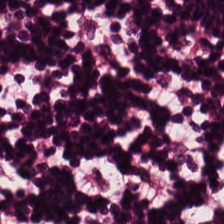H&E stain — This field is lymphocytic infiltrate.
